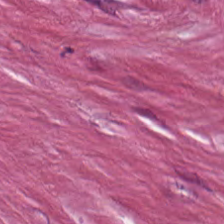Hematoxylin-and-eosin stained section — Finding → tumor stroma.
